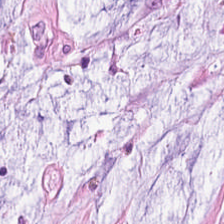WSI patch. H&E stain — {"tissue_type": "mucus"}
